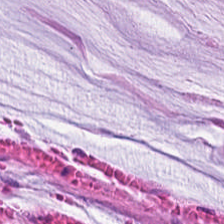Formalin-fixed paraffin-embedded section · 224×224 px tile · H&E.
Tissue type = mucin.
